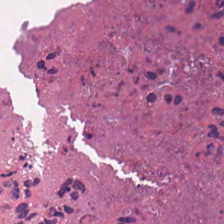Stain: H&E-stained tissue section.
Tissue: debris.
